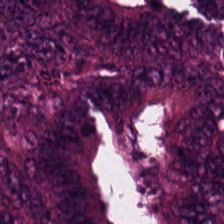Stain: H&E.
Classification: adenocarcinoma.
